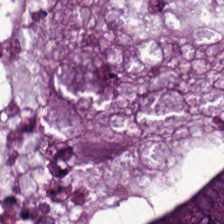Histology — colorectal adenocarcinoma epithelium.
